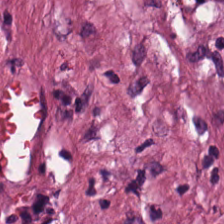H&E. Showing cellular debris.
